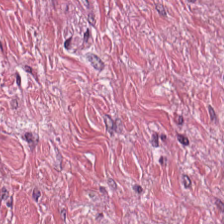H&E — This patch shows tumor stroma.
